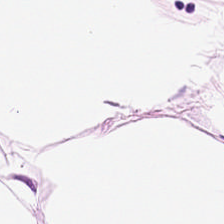H&E stain; 224×224 px patch; brightfield microscopy. Finding → fat tissue.
